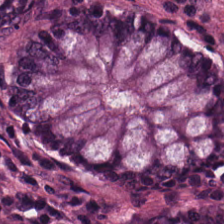224×224 px tile. Brightfield microscopy. H&E stain. Predominantly non-neoplastic colon mucosa.
